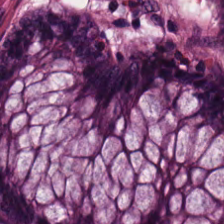H&E. The predominant tissue is normal colon mucosa.
